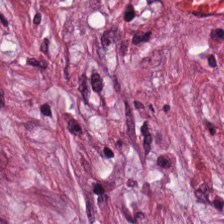Brightfield; hematoxylin-and-eosin stained section. This field is tumor stroma.
